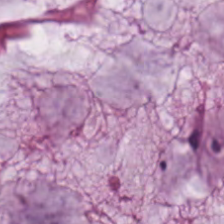H&E patch showing mucin.
